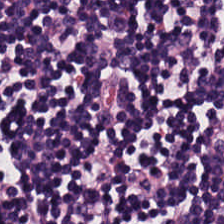Hematoxylin-and-eosin stained section.
Finding → lymphoid infiltrate.
